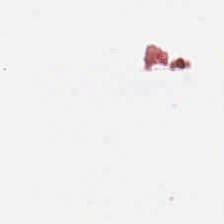WSI patch · hematoxylin-and-eosin stained section · 224×224 pixel tile. Classification = no tissue.
